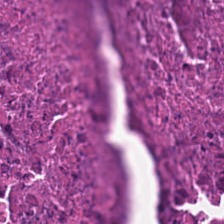H&E. 224×224 px tile — This patch shows debris.
